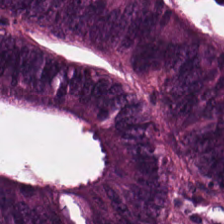Histology — adenocarcinoma.
